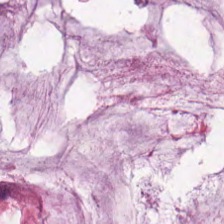224×224 px patch; H&E; 0.5 µm/px. Mucus.
